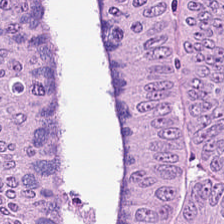0.5 microns per pixel. FFPE tissue section. Hematoxylin-and-eosin stained section.
Q: What does this patch show?
A: Malignant epithelium.
